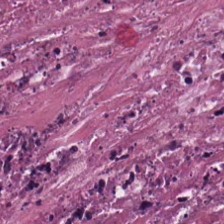FFPE tissue section · hematoxylin-and-eosin stained section.
The tissue is necrotic debris.
